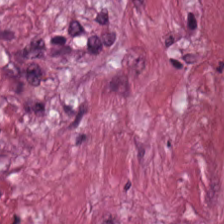Hematoxylin-and-eosin stained section — Predominantly tumor stroma.
